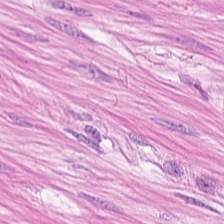Stain: hematoxylin-and-eosin stained section.
Tissue: muscularis.
